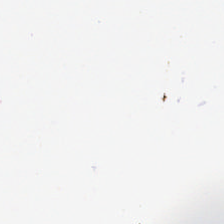Hematoxylin and eosin.
{"content": "background"}
